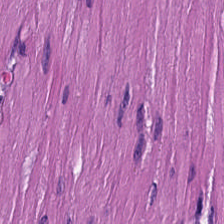Hematoxylin and eosin. Brightfield. Q: What is shown here?
A: Smooth-muscle tissue.
